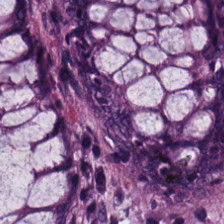0.5 µm/px; formalin-fixed paraffin-embedded section; hematoxylin-and-eosin stained section. Predominantly benign colonic mucosa.
